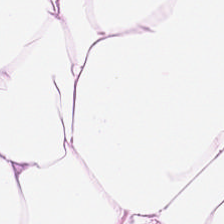H&E · 20× equivalent magnification · 224×224 px tile.
Q: What type of tissue is this?
A: The field shows adipose.
